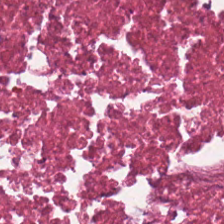Hematoxylin-and-eosin stained section · 224×224 px patch · whole-slide-image patch. Showing necrotic debris.
